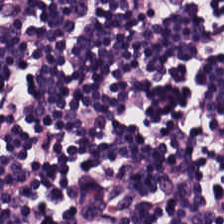Hematoxylin-and-eosin section: lymphocytic infiltrate.
